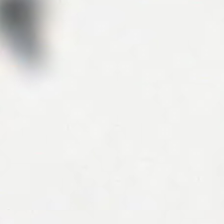20× equivalent magnification. H&E-stained tissue section. 224×224 px tile. This patch shows background (no tissue).
